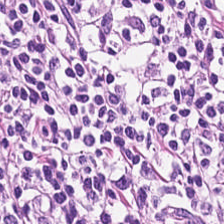H&E — Q: What is the predominant tissue type?
A: This is lymphoid infiltrate.
